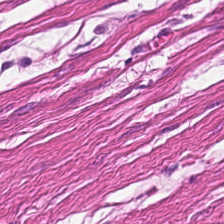H&E.
Showing smooth-muscle tissue.
